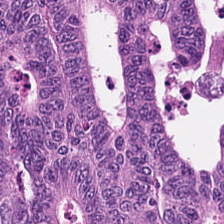H&E stain · brightfield · 224×224 pixel tile. Q: What is shown here?
A: It is tumor epithelium.
